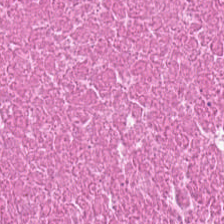Classification — cellular debris.
